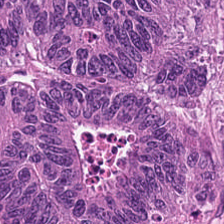Hematoxylin and eosin — Predominantly tumor epithelium.
